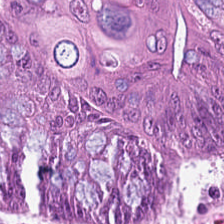H&E — colorectal adenocarcinoma epithelium.
